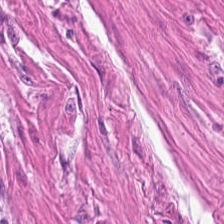Stain: hematoxylin and eosin.
Classification: muscularis.
